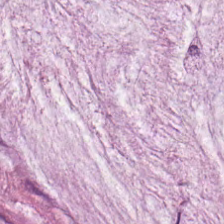H&E stain — This field is mucin.
